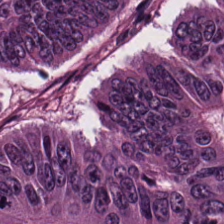H&E; 20× equivalent magnification; whole-slide-image patch.
The tissue class is tumor epithelium.
